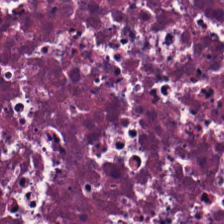H&E-stained tissue section.
Q: What tissue type is shown here?
A: This is necrotic debris.
